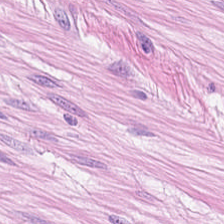Stain: hematoxylin-and-eosin stained section.
Tissue class: smooth-muscle tissue.
